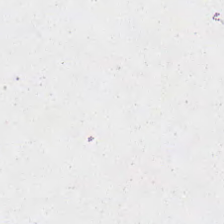H&E. 224×224 pixel tile — Background.
